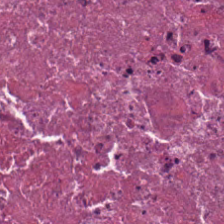Hematoxylin-and-eosin stained section. The tissue here is necrotic debris.
